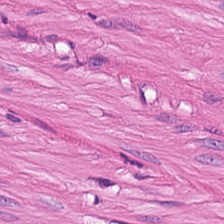H&E. Predominantly smooth-muscle tissue.
